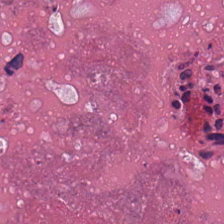Hematoxylin-and-eosin stained section; formalin-fixed paraffin-embedded section. Impression → debris.
